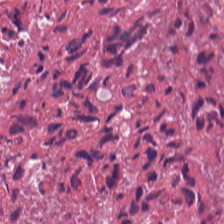H&E stain. Q: What type of tissue is this?
A: The field shows necrotic debris.
